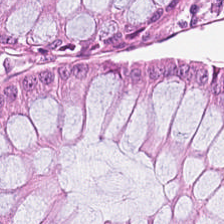Hematoxylin and eosin — The classification is normal colon mucosa.
